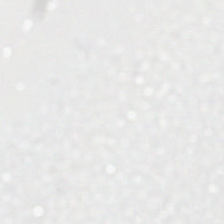H&E stain. Q: What is shown in this field?
A: The field shows background.
